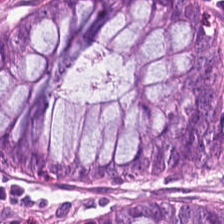H&E stain.
Histology → normal colon mucosa.
